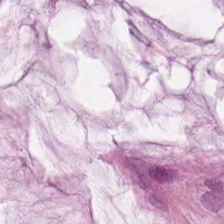Q: Classify this patch.
A: Mucin.
